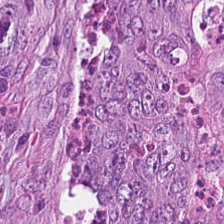H&E stain — The tissue type is malignant epithelium.
